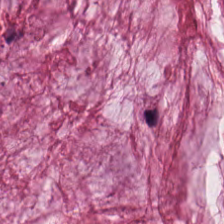224×224 pixel tile. FFPE. H&E stain.
Q: Classify this patch.
A: It is mucus.
